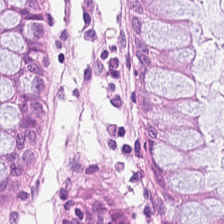Hematoxylin and eosin. Tissue type — benign colonic mucosa.
